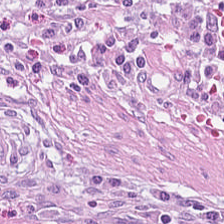H&E-stained tissue section. 0.5 µm per pixel. Q: What tissue type is shown here?
A: The field shows cancer-associated stroma.
